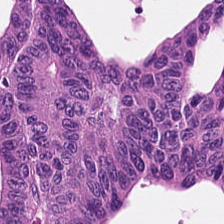H&E stain.
Predominantly colorectal adenocarcinoma.
